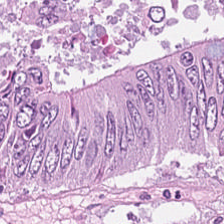Predominant tissue = colorectal adenocarcinoma.
